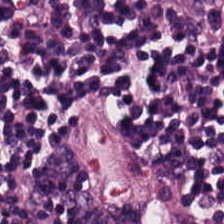Impression — lymphocyte aggregate.
